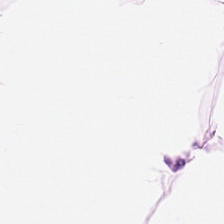Hematoxylin and eosin — {"tissue_type": "adipose"}
